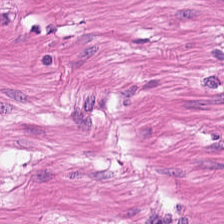H&E stain. The tissue is muscularis.
